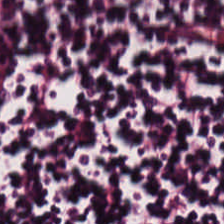224×224 px tile. Hematoxylin and eosin. Finding → lymphocytes.
